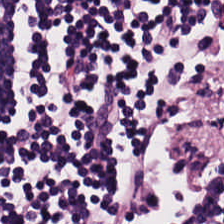H&E-stained tissue section.
Predominant tissue = lymphocyte aggregate.
